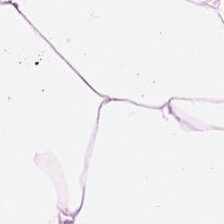Whole-slide-image patch · H&E-stained tissue section — Predominantly adipose.
